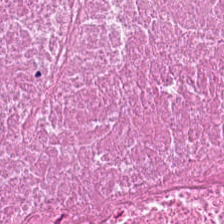Hematoxylin-and-eosin stained section — Cellular debris.
